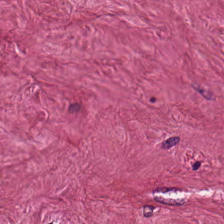Classification — cancer-associated stroma.
